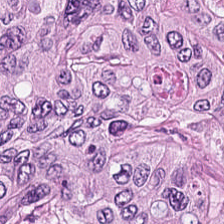H&E stain.
Tissue: colorectal adenocarcinoma epithelium.
